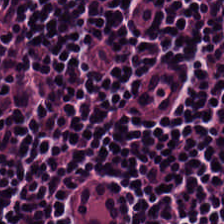Hematoxylin and eosin — Showing lymphocytic infiltrate.
